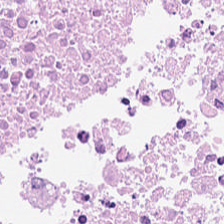H&E-stained tissue section.
{"tissue_type": "cellular debris"}
